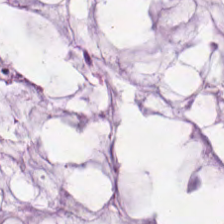H&E.
{"tissue_type": "mucin"}
